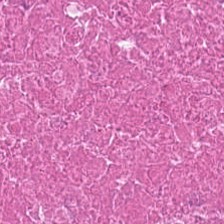Stain: hematoxylin and eosin.
Preparation: formalin-fixed paraffin-embedded section.
Tissue type: necrotic debris.
